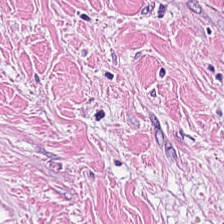{"tissue_type": "desmoplastic stroma"}
